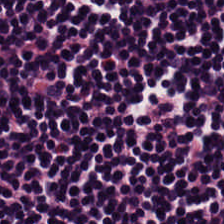Classification = lymphocyte aggregate.
